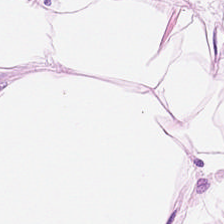Hematoxylin and eosin.
Predominantly adipocytes.
